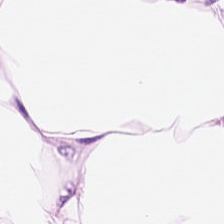Hematoxylin and eosin.
This field is adipose tissue.
